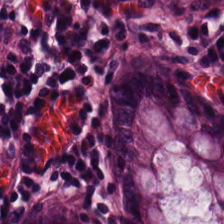H&E. Impression — non-neoplastic colon mucosa.
